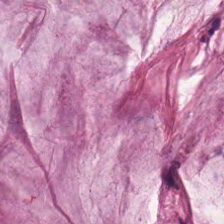H&E-stained tissue section.
Tissue class — extracellular mucin.
